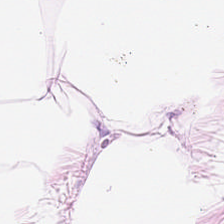FFPE tissue section · H&E-stained tissue section · 224×224 pixel tile. Q: Classify this patch.
A: This is adipose.
